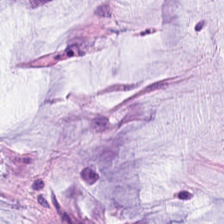Q: What does this patch show?
A: Mucus.
